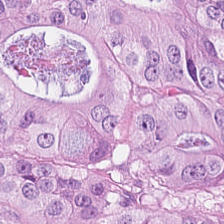This field is colorectal adenocarcinoma.
